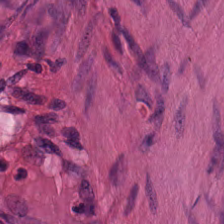Tissue type — smooth-muscle tissue.
